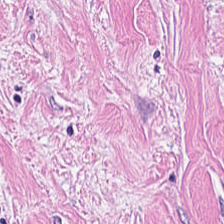Formalin-fixed paraffin-embedded section; brightfield microscopy; H&E-stained tissue section. The predominant tissue is desmoplastic stroma.
